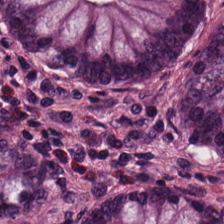Stain: H&E.
Tissue type: normal colon mucosa.
